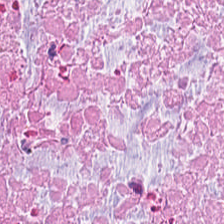H&E stain. 0.5 µm per pixel — Tissue type = necrotic debris.
